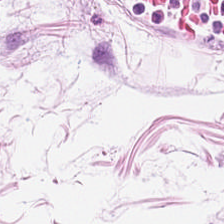H&E. 20× equivalent magnification. Classification — fat tissue.
